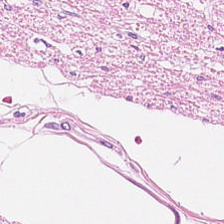Hematoxylin-and-eosin stained section — Smooth-muscle tissue.
